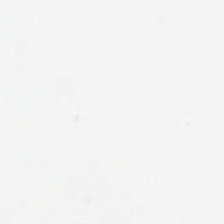H&E-stained tissue section. {"content": "background"}
